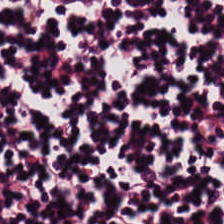Hematoxylin-and-eosin stained section — The classification is lymphocytic infiltrate.
